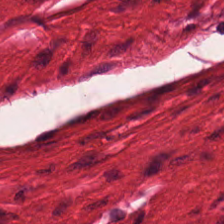H&E · formalin-fixed paraffin-embedded section. Predominant tissue: muscularis.
